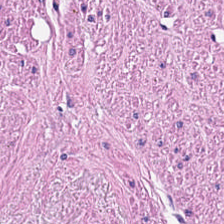0.5 µm per pixel · hematoxylin and eosin — Tissue: muscularis.
